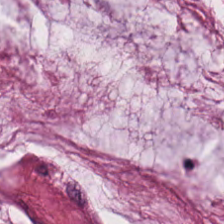Stain: H&E-stained tissue section.
Classification: mucus.
